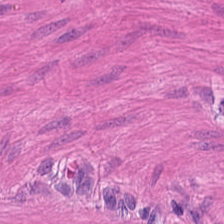Hematoxylin-and-eosin stained section. Q: Classify this patch.
A: It is smooth muscle.
